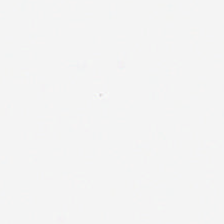{"content": "empty background"}
